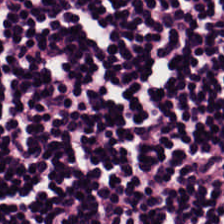Hematoxylin-and-eosin stained section — This field is lymphocytes.
